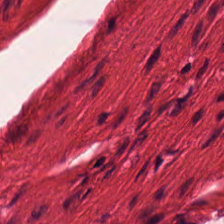{"tissue_type": "smooth-muscle tissue"}
